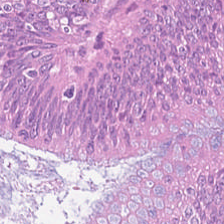{"tissue_type": "colorectal adenocarcinoma epithelium"}
